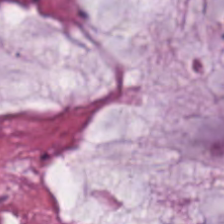H&E-stained tissue section.
Tissue class: mucus.
